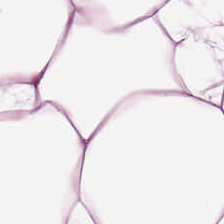H&E stain — Predominant tissue: adipose.
